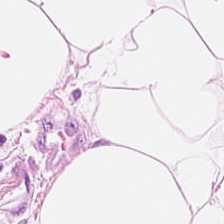H&E · brightfield microscopy.
The classification is fat tissue.
